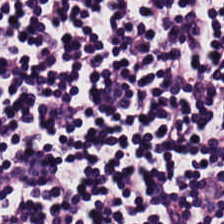Hematoxylin and eosin — Finding → lymphocytic infiltrate.
